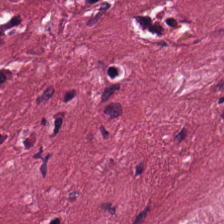WSI patch · H&E — The tissue here is desmoplastic stroma.
